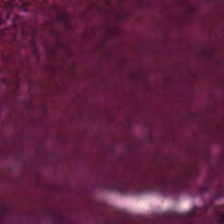FFPE. Hematoxylin-and-eosin stained section. 224×224 px patch — Classification — debris.
